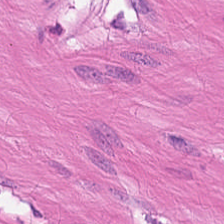Stain: H&E-stained tissue section.
Classification: smooth-muscle tissue.
